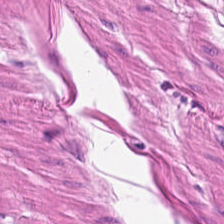H&E-stained section; the field shows smooth-muscle tissue.
